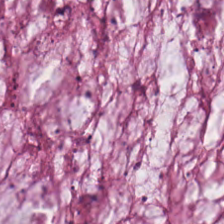H&E stain; 224×224 px patch. Q: What tissue is shown?
A: Mucin.
